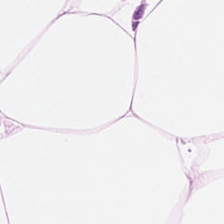The tissue type is adipose.
